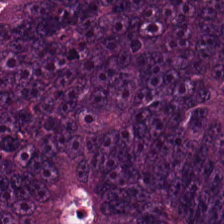0.5 µm/px · hematoxylin and eosin. The tissue here is malignant epithelium.
